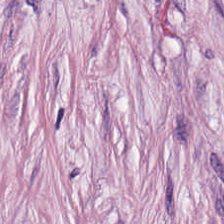H&E stain. Q: What type of tissue is this?
A: This is tumor-associated stroma.
